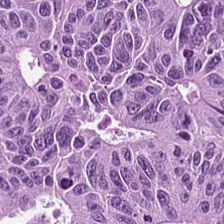H&E-stained tissue section showing colorectal adenocarcinoma epithelium.
